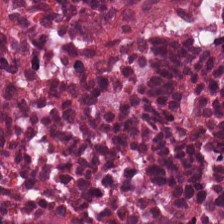224×224 px tile. H&E. Formalin-fixed paraffin-embedded section.
Showing necrotic debris.
